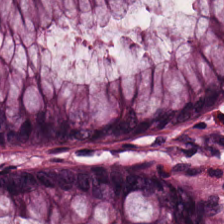FFPE tissue section. H&E stain. 224×224 px tile. The tissue is normal colonic mucosa.
